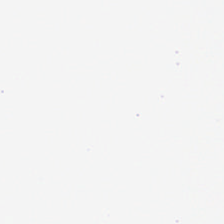Hematoxylin-and-eosin stained section; WSI patch — This patch shows no tissue.
